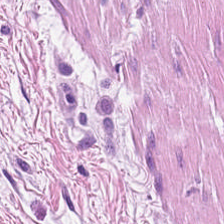224×224 px patch; H&E-stained tissue section — Finding — smooth muscle.
